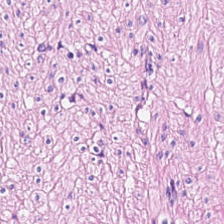H&E · FFPE tissue section — Predominantly smooth-muscle tissue.
